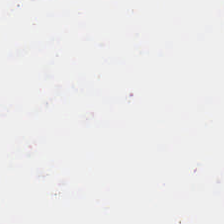Stain: H&E.
Tile size: 224×224 pixel tile.
Classification: no tissue.
